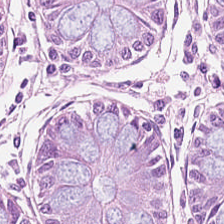H&E — Tissue class — normal colonic mucosa.
